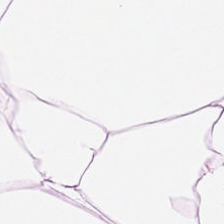FFPE tissue section · hematoxylin-and-eosin stained section.
Predominant tissue — adipose.
